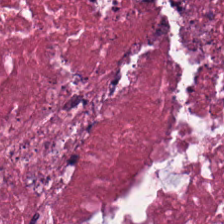H&E-stained tissue section. This patch shows necrotic debris.
